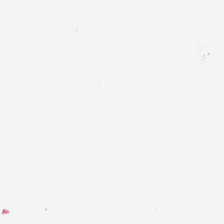Empty field — no tissue.
